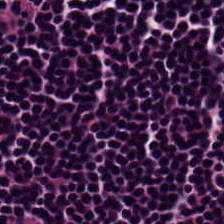H&E-stained tissue section. This patch shows lymphocytes.
